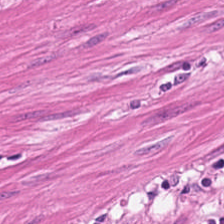Hematoxylin and eosin. FFPE tissue section — Showing smooth muscle.
